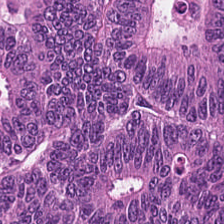H&E stain. Impression → colorectal adenocarcinoma epithelium.
